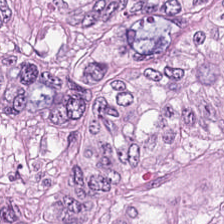224×224 px tile. Hematoxylin and eosin. Q: What tissue type is shown here?
A: The field shows tumor epithelium.
